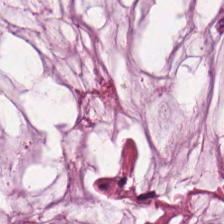WSI patch; H&E-stained tissue section. Tissue type: extracellular mucin.
